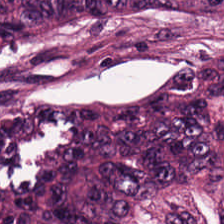Predominantly adenocarcinoma.
